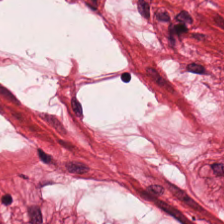{"tissue_type": "smooth-muscle tissue"}
